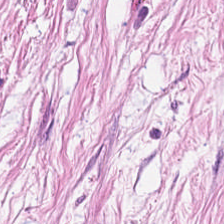H&E. Q: What is shown here?
A: It is desmoplastic stroma.
